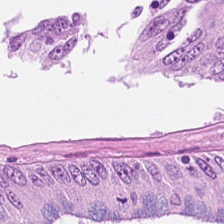Q: Classify this patch.
A: This is colorectal adenocarcinoma epithelium.
